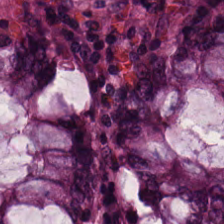H&E patch showing non-neoplastic colon mucosa.
